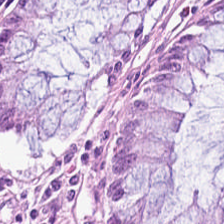Hematoxylin and eosin — Q: What does this patch show?
A: The field shows benign colonic mucosa.
